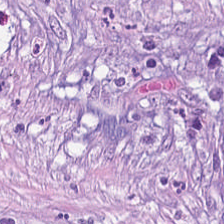224×224 px tile · H&E-stained tissue section. Tumor stroma.
